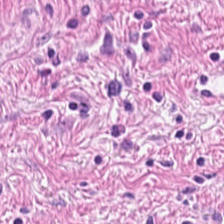H&E-stained tissue section — The tissue is muscularis.
